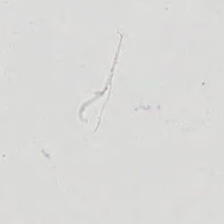H&E stain — Field content = background.
